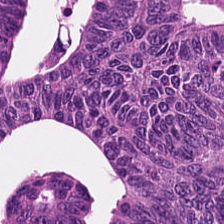H&E-stained tissue section — Q: What is shown here?
A: This is adenocarcinoma.
